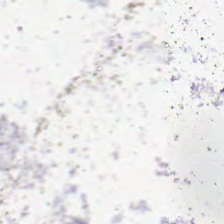No tissue present; background only.
